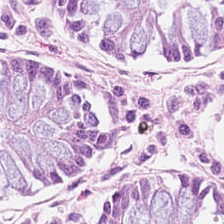224×224 px patch. Hematoxylin-and-eosin stained section.
Predominant tissue: normal colon mucosa.
